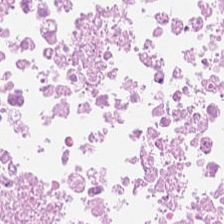Cellular debris.
